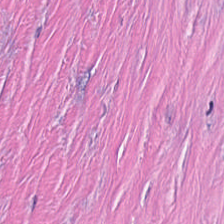Desmoplastic stroma.
